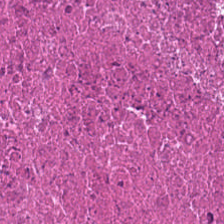Classification = cellular debris.
